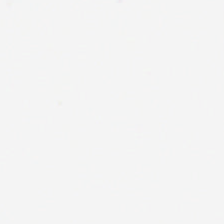Classification — no tissue.
